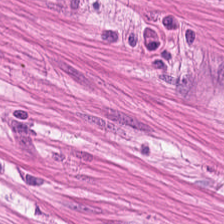Stain: H&E.
Classification: smooth muscle.
